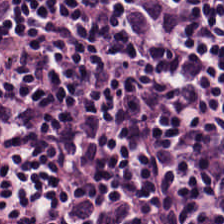Tissue — lymphocytes.
